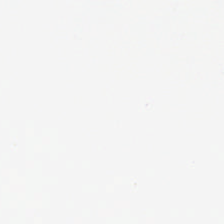H&E-stained tissue section; brightfield; 224×224 px patch. Background — no tissue in this field.
